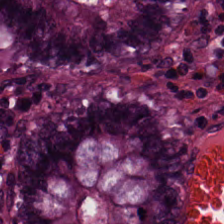Hematoxylin and eosin. FFPE.
Q: What tissue type is shown here?
A: This is benign colonic mucosa.
